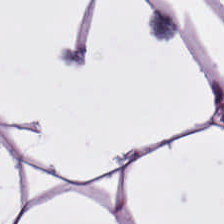H&E-stained tissue section. The tissue is fat tissue.
